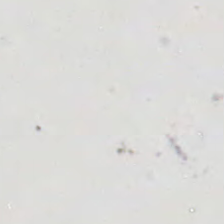Q: Classify this patch.
A: Background.
